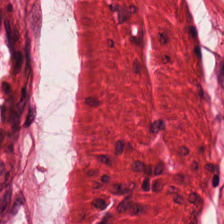20× equivalent magnification · hematoxylin and eosin.
Predominantly smooth-muscle tissue.
